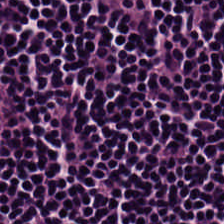Whole-slide-image patch · H&E — Finding — lymphoid infiltrate.
